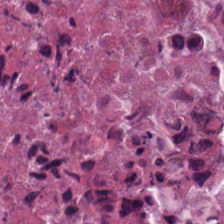Q: Identify the tissue.
A: This is necrotic debris.
